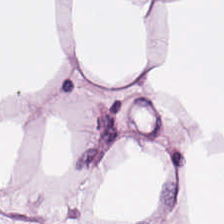Brightfield microscopy. H&E-stained tissue section.
Q: What does this patch show?
A: It is adipose.
